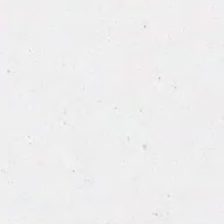Stain: H&E-stained tissue section.
Resolution: 20× equivalent magnification.
Preparation: formalin-fixed paraffin-embedded section.
Content: background.
